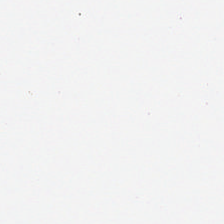Q: What does this patch show?
A: No tissue.
